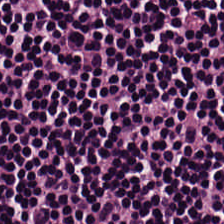Histology — lymphocytes.
